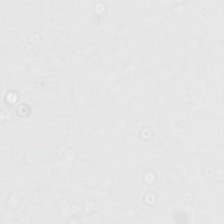H&E stain; 0.5 µm per pixel; 224×224 px tile. Classification — background.
